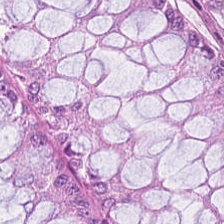Whole-slide-image patch · 224×224 px patch · hematoxylin and eosin. Q: What type of tissue is this?
A: Non-neoplastic colon mucosa.
